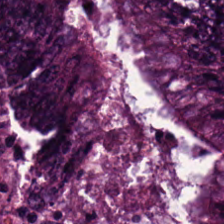H&E-stained tissue section — Predominantly malignant epithelium.
